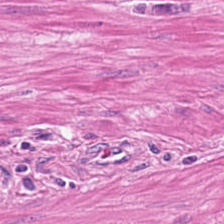This field is smooth-muscle tissue.
